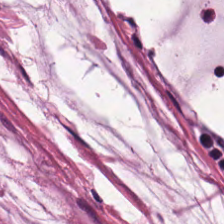Predominant tissue: mucin.
